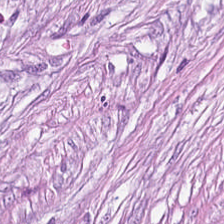H&E.
Tissue class — cancer-associated stroma.
